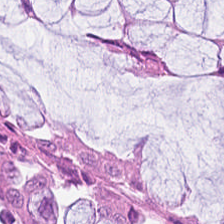20× equivalent magnification. H&E-stained tissue section.
The predominant tissue is normal colon mucosa.
